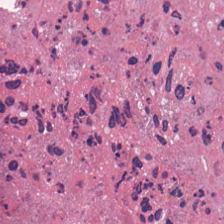This patch shows necrotic debris.
